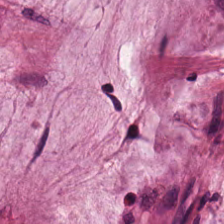Tissue — mucin.
